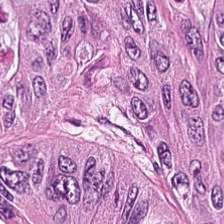H&E stain — Showing adenocarcinoma.
